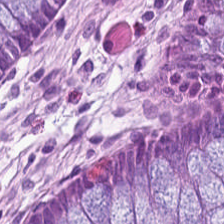H&E-stained tissue section — Finding → normal colonic mucosa.
